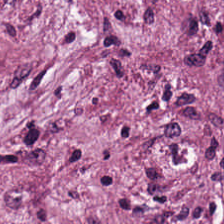H&E stain; 0.5 µm/px.
Classification: tumor stroma.
